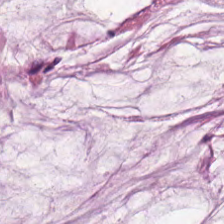H&E.
{"tissue_type": "extracellular mucin"}
